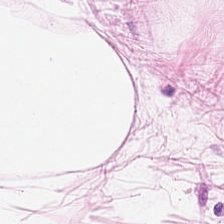Adipocytes.
